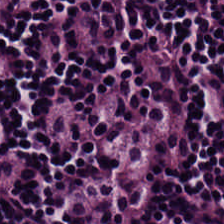H&E stain.
The classification is lymphoid infiltrate.
